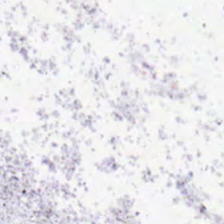Empty field — empty background.
